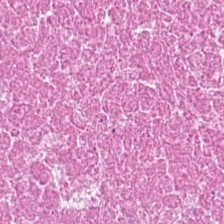H&E stain.
Showing debris.
